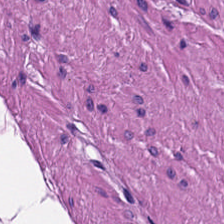WSI patch; hematoxylin-and-eosin stained section. Predominantly smooth-muscle tissue.
